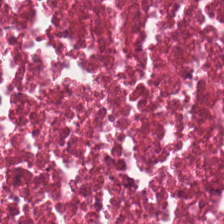H&E patch showing cellular debris.
